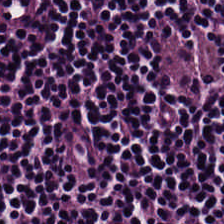Stain: hematoxylin-and-eosin stained section.
Acquisition: WSI patch.
Tissue: lymphoid infiltrate.
